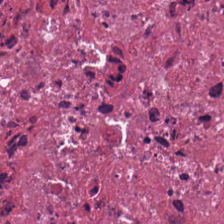FFPE tissue section · H&E stain. The tissue is necrotic debris.
